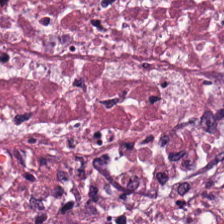224×224 px patch. H&E — The tissue class is debris.
